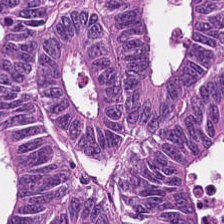Tissue type = colorectal adenocarcinoma epithelium.
